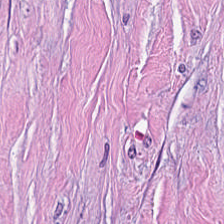H&E stain. Brightfield. FFPE tissue section — Q: What is shown in this field?
A: Tumor stroma.
